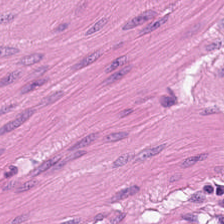Stain: hematoxylin-and-eosin stained section.
Tile size: 224×224 pixel tile.
Tissue: muscularis.
